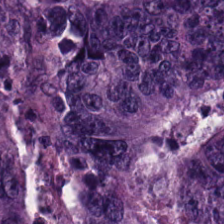224×224 pixel tile. Hematoxylin-and-eosin stained section. 0.5 µm per pixel — Q: What tissue type is shown here?
A: The field shows tumor epithelium.
